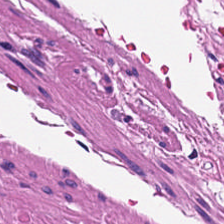FFPE. Hematoxylin and eosin. Impression → smooth-muscle tissue.
